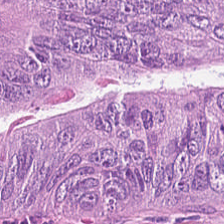H&E-stained tissue section — This field is colorectal adenocarcinoma.
